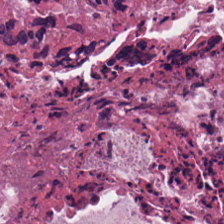Tissue type — necrotic debris.
